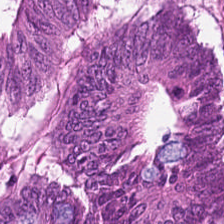This field is colorectal adenocarcinoma epithelium.
